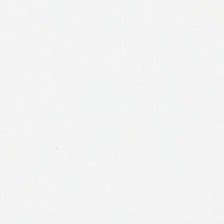Stain: H&E-stained tissue section.
Content: background (no tissue).
